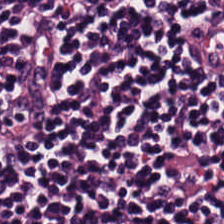FFPE; H&E-stained tissue section.
Histology → lymphocyte aggregate.
